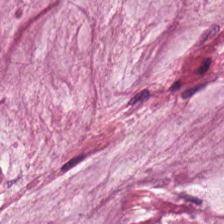Hematoxylin and eosin; 224×224 px tile; 20× equivalent magnification — This field is mucin.
